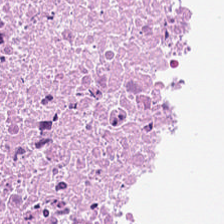H&E-stained tissue section. 224×224 px patch — Tissue class = cellular debris.
